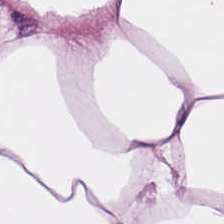20× equivalent magnification · 224×224 px patch · hematoxylin-and-eosin stained section.
Adipose tissue.
